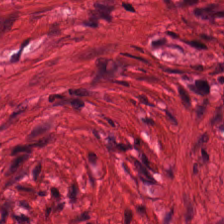Hematoxylin-and-eosin stained section — Q: What tissue type is shown here?
A: This is muscularis.
